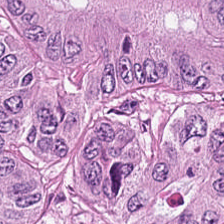224×224 px patch; hematoxylin and eosin.
{"tissue_type": "malignant epithelium"}
